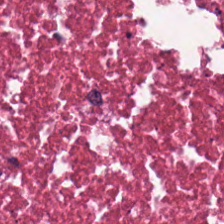Stain: hematoxylin and eosin.
Classification: necrotic debris.
